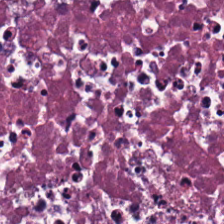Brightfield · H&E · 0.5 µm per pixel — Impression — cellular debris.
